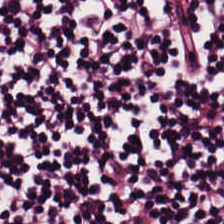Hematoxylin and eosin — The predominant tissue is lymphocytic infiltrate.
